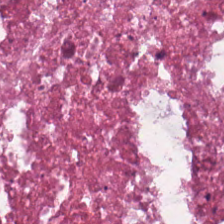H&E stain; whole-slide-image patch.
The predominant tissue is necrotic debris.
